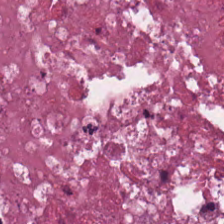H&E — This patch shows debris.
